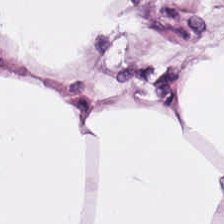Hematoxylin and eosin. This field is adipose tissue.
